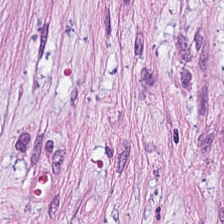H&E-stained section; the field shows tumor-associated stroma.
